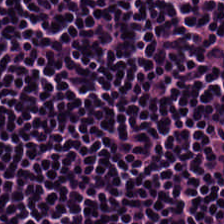Predominant tissue — lymphocytes.
